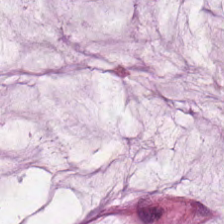{"tissue_type": "mucus"}
